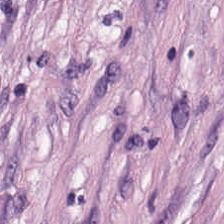0.5 µm/px. Hematoxylin and eosin — This patch shows tumor-associated stroma.
